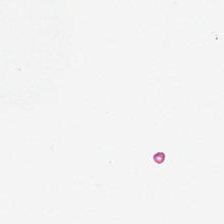Finding — background.
